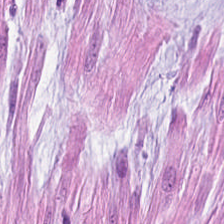Stain: hematoxylin-and-eosin stained section.
Predominant tissue: mucin.
